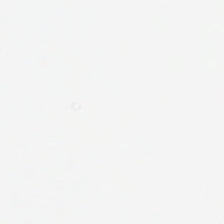Brightfield; 224×224 px patch; H&E stain.
Empty background.
